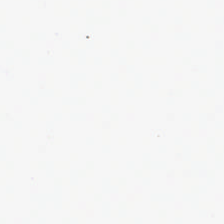FFPE tissue section · hematoxylin and eosin.
Background.
